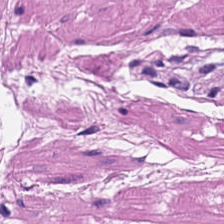Predominant tissue: smooth-muscle tissue.
